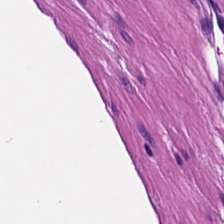H&E stain — Showing smooth muscle.
